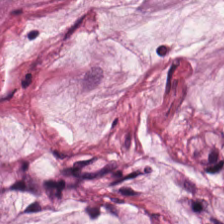Hematoxylin-and-eosin stained section; formalin-fixed paraffin-embedded section; 0.5 µm/px. Predominantly mucin.
